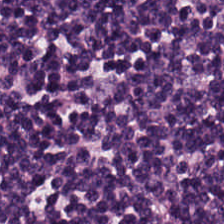H&E stain.
The tissue type is lymphocytes.
